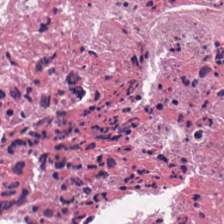Stain: H&E-stained tissue section.
Tissue: necrotic debris.
